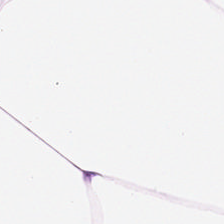Whole-slide-image patch; hematoxylin-and-eosin stained section; formalin-fixed paraffin-embedded section — Tissue: adipose.
